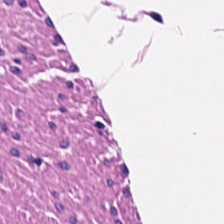Hematoxylin and eosin · 0.5 µm per pixel · FFPE.
Q: What tissue is shown?
A: The field shows smooth-muscle tissue.
